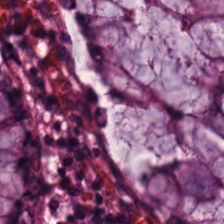Stain: H&E stain.
Resolution: 0.5 µm per pixel.
Tissue type: benign colonic mucosa.
